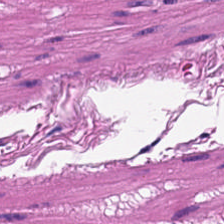Hematoxylin and eosin. 0.5 µm per pixel.
Finding → smooth muscle.
